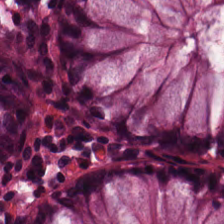Brightfield microscopy; hematoxylin and eosin. Q: Identify the tissue.
A: This is normal colonic mucosa.
